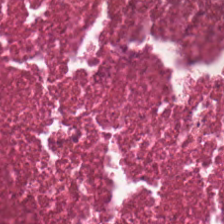Impression — necrotic debris.
